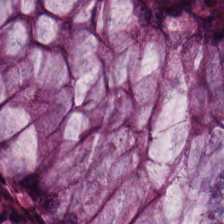H&E — Showing benign colonic mucosa.
